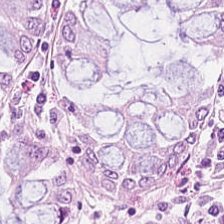{"tissue_type": "benign colonic mucosa"}
